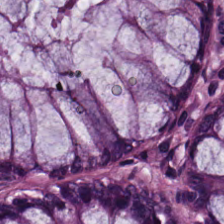Q: What is shown in this field?
A: This is normal colonic mucosa.
